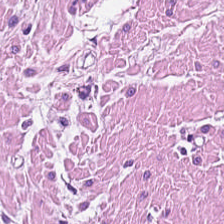Hematoxylin-and-eosin stained section.
This field is smooth-muscle tissue.
